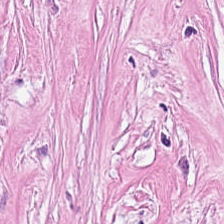H&E-stained tissue section. Finding — tumor stroma.
